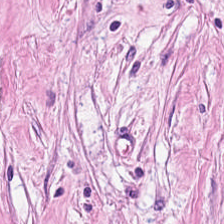Hematoxylin and eosin. 224×224 pixel tile. Predominantly cancer-associated stroma.
